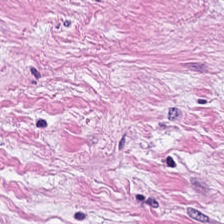Whole-slide-image patch. Hematoxylin and eosin. FFPE tissue section — {"tissue_type": "tumor stroma"}
